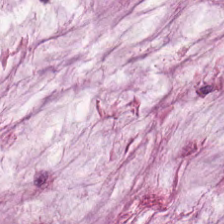224×224 px tile. H&E. Q: What is the predominant tissue type?
A: This is mucin.
